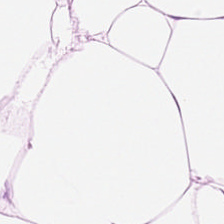H&E. Q: What does this patch show?
A: The field shows adipose.
